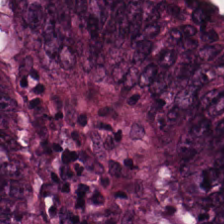Hematoxylin-and-eosin stained section.
The classification is colorectal adenocarcinoma.
